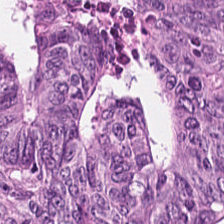Stain: H&E-stained tissue section.
Tissue: malignant epithelium.
